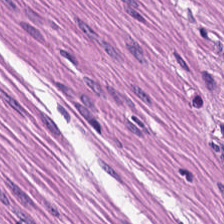Hematoxylin-and-eosin stained section. Finding — smooth-muscle tissue.
